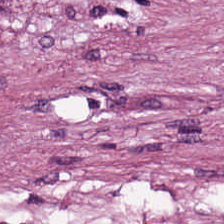Tissue class — desmoplastic stroma.
